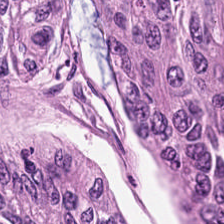Hematoxylin and eosin — Tumor epithelium.
